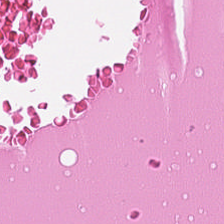FFPE; 0.5 µm/px; hematoxylin and eosin — Predominant tissue = debris.
